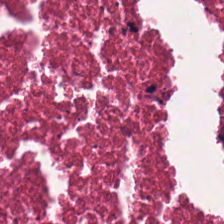FFPE; H&E-stained tissue section. The predominant tissue is cellular debris.
